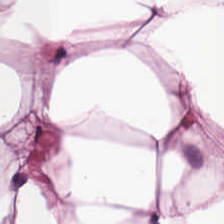Hematoxylin and eosin — Impression — fat tissue.
